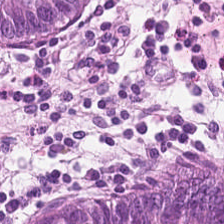Stain: hematoxylin-and-eosin stained section.
Preparation: FFPE tissue section.
Classification: normal colonic mucosa.
